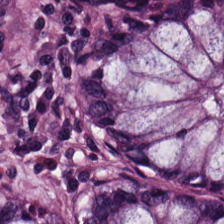20× equivalent magnification · 224×224 px tile · hematoxylin-and-eosin stained section.
Finding → normal colonic mucosa.
